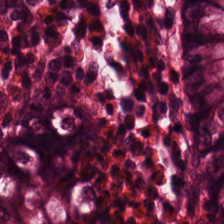Hematoxylin-and-eosin stained section · FFPE.
Classification = non-neoplastic colon mucosa.
